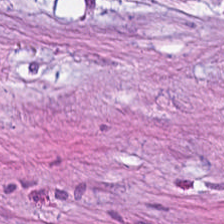H&E. Histology — desmoplastic stroma.
